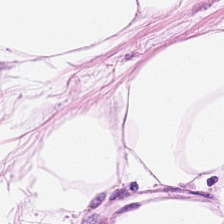Hematoxylin-and-eosin stained section. Formalin-fixed paraffin-embedded section. Q: What tissue type is shown here?
A: The field shows adipocytes.
